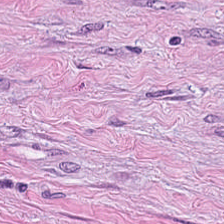Hematoxylin and eosin — The tissue type is cancer-associated stroma.
